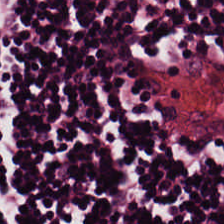Hematoxylin-and-eosin stained section.
Predominantly lymphoid infiltrate.
